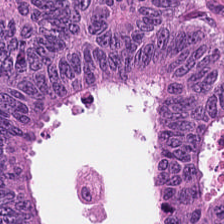Stain: H&E-stained tissue section.
Classification: colorectal adenocarcinoma.
